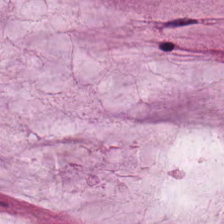Stain: H&E stain.
Predominant tissue: extracellular mucin.
